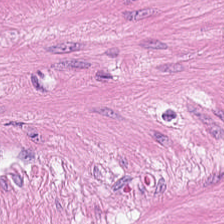20× equivalent magnification; H&E stain — This field is smooth muscle.
